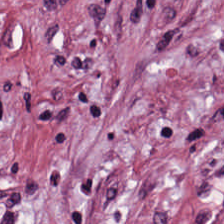0.5 µm/px; hematoxylin-and-eosin stained section; 224×224 px patch. Classification: tumor stroma.
